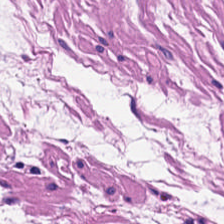20× equivalent magnification · H&E.
The predominant tissue is smooth muscle.
